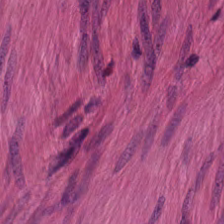Stain: H&E stain.
Tile size: 224×224 px patch.
Preparation: FFPE tissue section.
Tissue class: smooth-muscle tissue.
